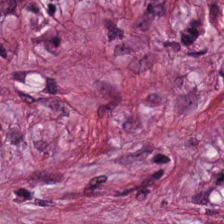Hematoxylin and eosin. FFPE. 224×224 px patch.
{"tissue_type": "desmoplastic stroma"}
